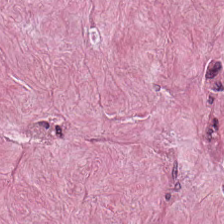Tissue type = tumor-associated stroma.
